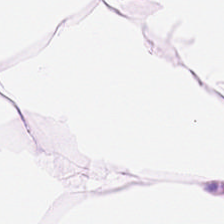224×224 pixel tile; whole-slide-image patch; hematoxylin and eosin. The tissue class is fat tissue.
